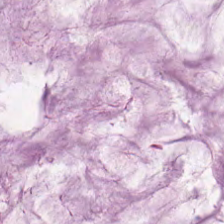H&E.
Q: What tissue is shown?
A: The field shows mucin.
